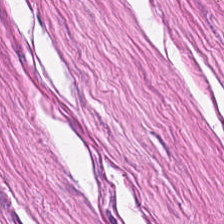Q: Classify this patch.
A: Smooth-muscle tissue.
